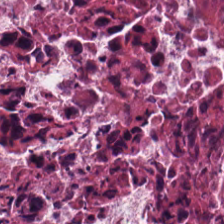Hematoxylin-and-eosin stained section. The tissue here is debris.
